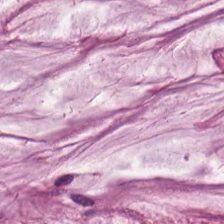20× equivalent magnification; hematoxylin-and-eosin stained section.
Tissue: mucus.
